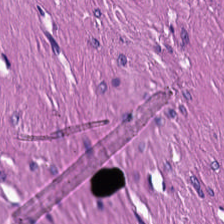H&E stain. Classification = muscularis.
